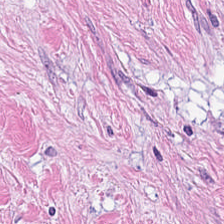H&E-stained tissue section. Predominant tissue — tumor stroma.
